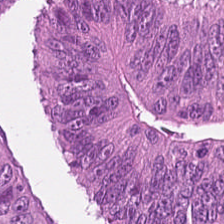Stain: hematoxylin and eosin.
Resolution: 0.5 µm/px.
Preparation: formalin-fixed paraffin-embedded section.
Predominant tissue: adenocarcinoma.
